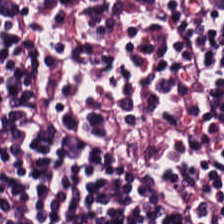Tissue class = lymphocyte aggregate.
